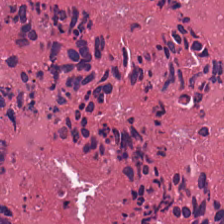H&E — Tissue type = cellular debris.
